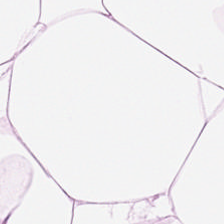H&E — Predominantly adipose.
